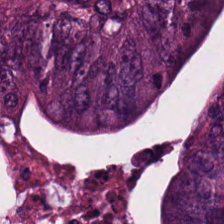Stain: H&E-stained tissue section.
Tile size: 224×224 pixel tile.
Preparation: FFPE.
Tissue: tumor epithelium.
